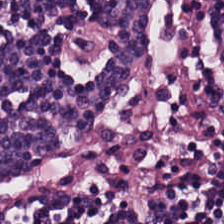Hematoxylin and eosin — The predominant tissue is lymphocyte aggregate.
